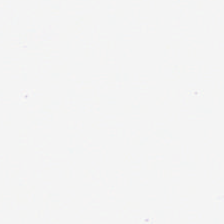{"content": "no tissue"}
